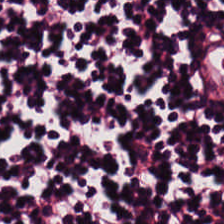WSI patch · hematoxylin and eosin · 20× equivalent magnification.
Tissue type = lymphoid infiltrate.
